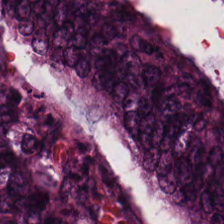FFPE tissue section. Hematoxylin-and-eosin stained section. Brightfield microscopy.
Q: Classify this patch.
A: It is colorectal adenocarcinoma epithelium.
